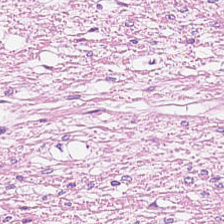Stain: H&E stain.
Tile size: 224×224 px tile.
Acquisition: brightfield microscopy.
Tissue class: smooth muscle.
